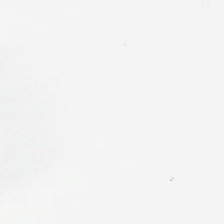Stain: H&E.
Resolution: 0.5 µm/px.
Field content: no tissue.
